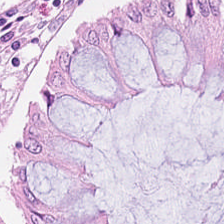Tissue class — normal colonic mucosa.
